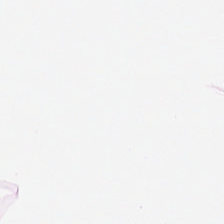The tissue here is adipose.
